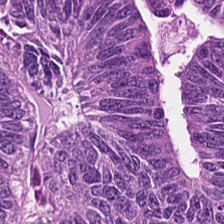Tissue = tumor epithelium.
